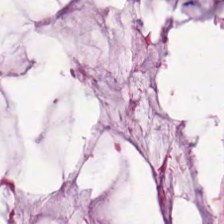H&E-stained tissue section. Predominant tissue = extracellular mucin.
